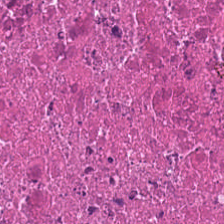Predominantly necrotic debris.
